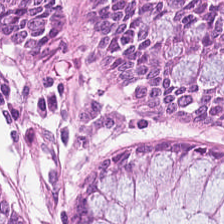H&E — non-neoplastic colon mucosa.
